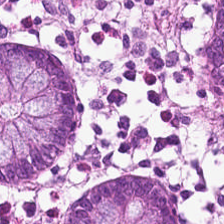H&E-stained tissue section.
Tissue — benign colonic mucosa.
